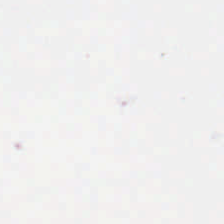H&E stain — Impression — background (no tissue).
